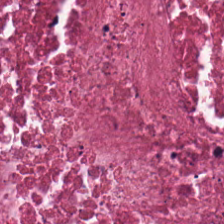Hematoxylin-and-eosin stained section. The tissue class is cellular debris.
